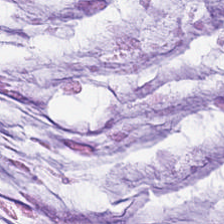224×224 px tile; WSI patch; H&E. Showing mucin.
